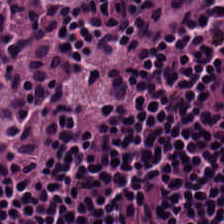Predominant tissue — lymphocytes.
